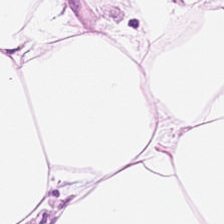H&E.
Tissue = fat tissue.
